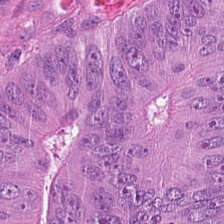H&E. 20× equivalent magnification. FFPE. Histology → malignant epithelium.
